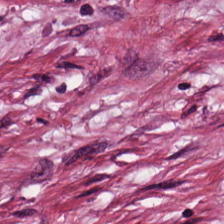Hematoxylin-and-eosin stained section. Q: What type of tissue is this?
A: Desmoplastic stroma.
